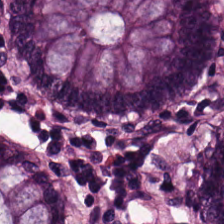20× equivalent magnification · H&E-stained tissue section — The predominant tissue is normal colon mucosa.
